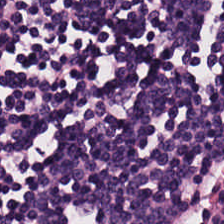Hematoxylin-and-eosin stained section; 224×224 pixel tile; brightfield — This field is lymphoid infiltrate.
